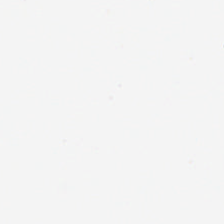Formalin-fixed paraffin-embedded section. Hematoxylin-and-eosin stained section. 0.5 microns per pixel. Classification = empty background.
